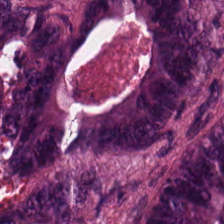H&E-stained tissue section — Showing adenocarcinoma.
